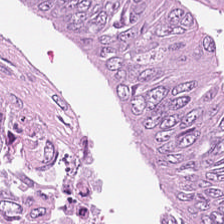Hematoxylin and eosin · 224×224 px patch — Histology → colorectal adenocarcinoma.
